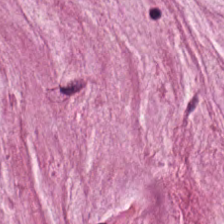H&E-stained tissue section.
This patch shows mucus.
